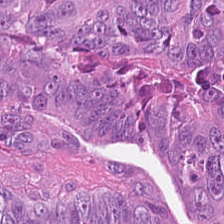The tissue here is malignant epithelium.
